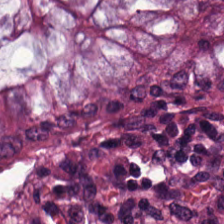Hematoxylin and eosin. 0.5 µm/px. Formalin-fixed paraffin-embedded section.
Q: What is shown here?
A: Benign colonic mucosa.
